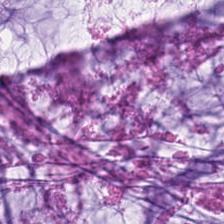Hematoxylin-and-eosin stained section — Predominantly mucin.
